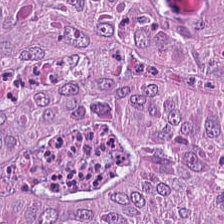Hematoxylin and eosin. Histology — colorectal adenocarcinoma.
